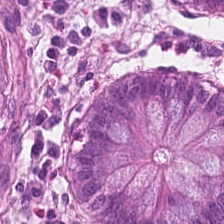H&E stain. Q: Identify the tissue.
A: This is normal colonic mucosa.
